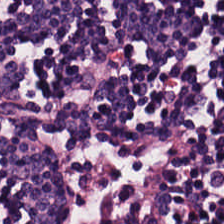FFPE tissue section. 224×224 px tile. H&E. Impression — lymphocyte aggregate.
